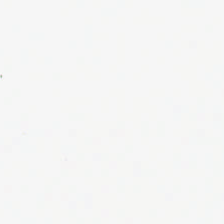Hematoxylin-and-eosin stained section; 0.5 µm per pixel; 224×224 pixel tile.
No tissue present; background only.
